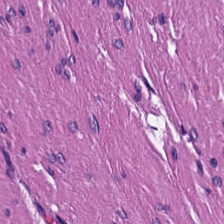0.5 µm per pixel · H&E-stained tissue section.
Impression → smooth muscle.
